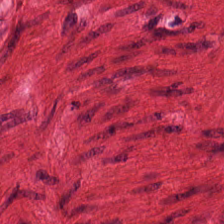Finding → muscularis.
